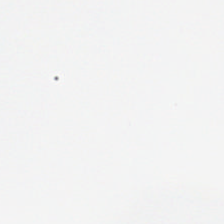Stain: hematoxylin and eosin.
Content: background.
